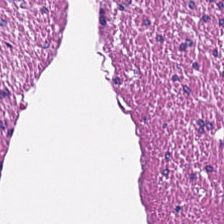224×224 pixel tile · hematoxylin and eosin — Predominant tissue: smooth muscle.
